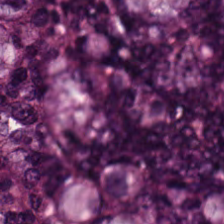Hematoxylin-and-eosin stained section — This field is colorectal adenocarcinoma epithelium.
